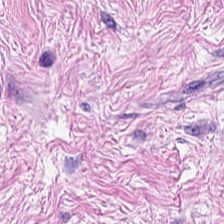Hematoxylin-and-eosin stained section.
Tumor-associated stroma.
